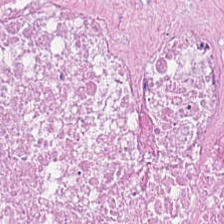Impression — necrotic debris.
